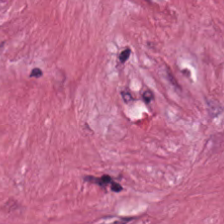H&E-stained tissue section; FFPE. Predominant tissue — desmoplastic stroma.
